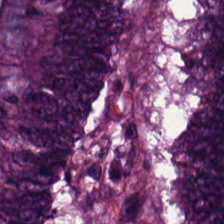This field is malignant epithelium.
